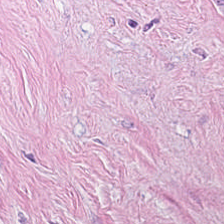0.5 µm/px. H&E-stained tissue section.
This patch shows desmoplastic stroma.
